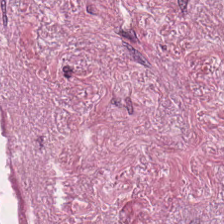Q: Classify this patch.
A: It is tumor-associated stroma.
